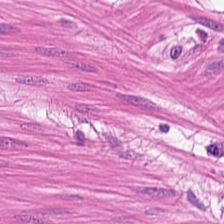H&E stain. Showing muscularis.
